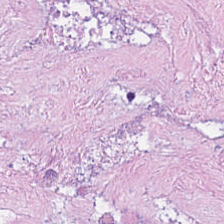Hematoxylin-and-eosin stained section — Q: What type of tissue is this?
A: This is necrotic debris.
